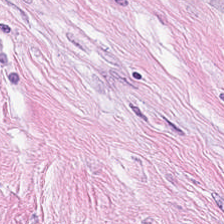Stain: H&E.
Preparation: formalin-fixed paraffin-embedded section.
Tissue type: desmoplastic stroma.
